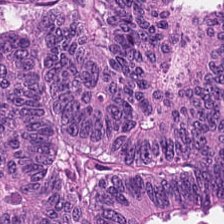Hematoxylin-and-eosin stained section · WSI patch — This field is colorectal adenocarcinoma epithelium.
